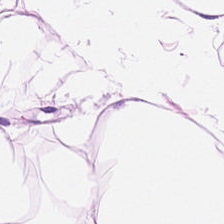Hematoxylin and eosin.
Showing adipocytes.
